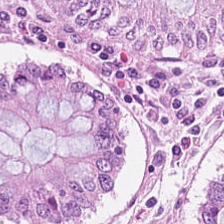Whole-slide-image patch. FFPE. H&E-stained tissue section. Histology → benign colonic mucosa.
